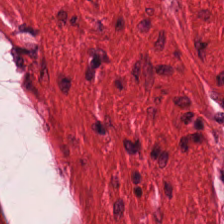0.5 microns per pixel · formalin-fixed paraffin-embedded section · hematoxylin and eosin.
Showing smooth muscle.
